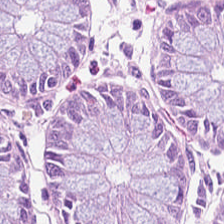Q: What does this patch show?
A: Benign colonic mucosa.
